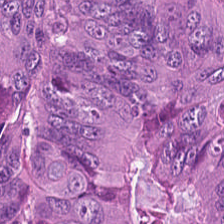Stain: hematoxylin and eosin.
Resolution: 20× equivalent magnification.
Preparation: formalin-fixed paraffin-embedded section.
Classification: colorectal adenocarcinoma.
